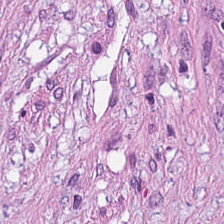Hematoxylin-and-eosin section: tumor-associated stroma.
